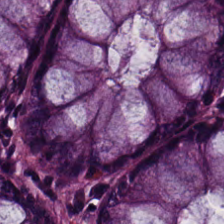The tissue class is benign colonic mucosa.
